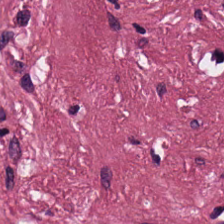Tissue class = tumor stroma.
